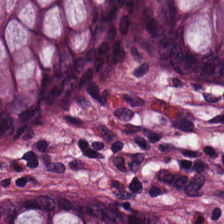Hematoxylin-and-eosin stained section.
Normal colonic mucosa.
